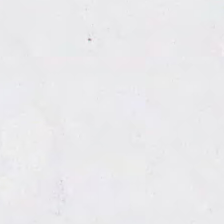20× equivalent magnification. Brightfield. Hematoxylin and eosin.
Classification: background.
